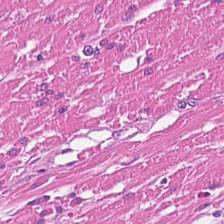H&E-stained tissue section — Histology → muscularis.
